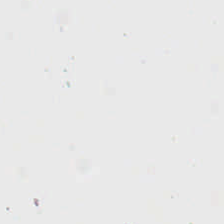H&E-stained tissue section. FFPE tissue section.
The classification is background (no tissue).
